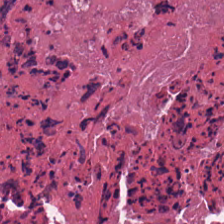H&E-stained tissue section. The predominant tissue is debris.
